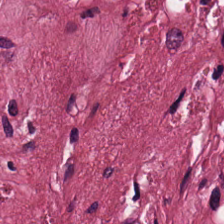Hematoxylin and eosin — Showing tumor stroma.
